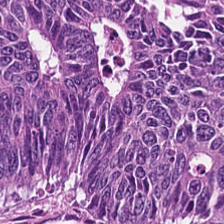H&E stain. Predominantly tumor epithelium.
